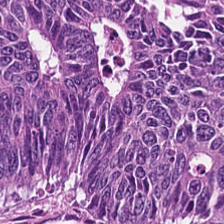H&E stain. Predominantly tumor epithelium.
